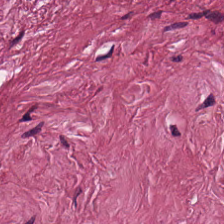H&E patch showing tumor stroma.
